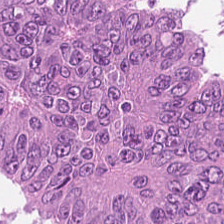Stain: H&E.
Preparation: FFPE.
Acquisition: whole-slide-image patch.
Tissue class: adenocarcinoma.
